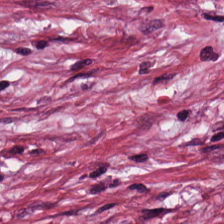Hematoxylin and eosin.
Q: What type of tissue is this?
A: The field shows desmoplastic stroma.
